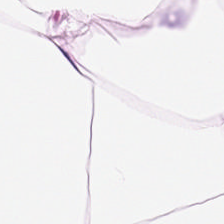H&E stain. 224×224 pixel tile. Brightfield microscopy. The tissue is adipocytes.
